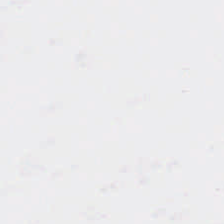FFPE; 224×224 pixel tile; H&E stain — Content: background.
